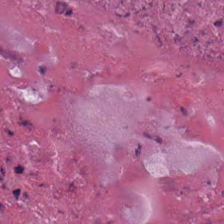Hematoxylin and eosin; brightfield microscopy; 224×224 pixel tile. Classification: debris.
